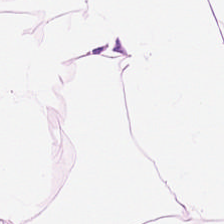H&E-stained tissue section; 20× equivalent magnification; 224×224 px patch. Predominantly fat tissue.
